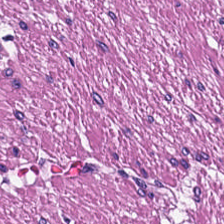Predominant tissue: smooth muscle.
